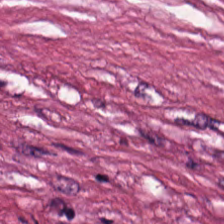Hematoxylin-and-eosin section: cellular debris.
